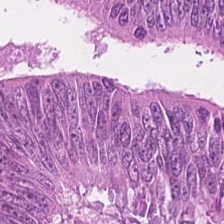H&E — colorectal adenocarcinoma.
